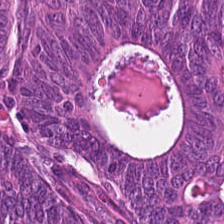Hematoxylin and eosin · FFPE. Tissue: tumor epithelium.
